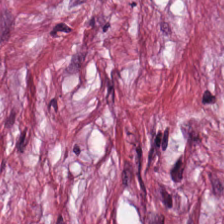The tissue here is tumor stroma.
